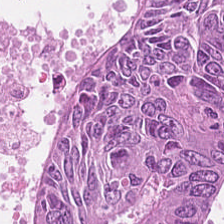Formalin-fixed paraffin-embedded section. H&E stain — Q: What is shown in this field?
A: The field shows malignant epithelium.
